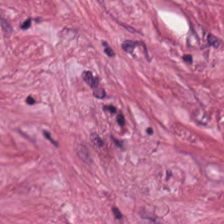H&E-stained tissue section — Q: What is shown here?
A: It is tumor stroma.
